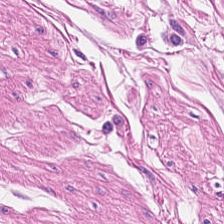H&E. FFPE.
Predominant tissue = smooth muscle.
